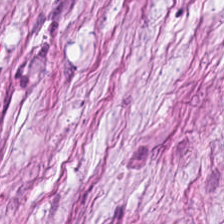Hematoxylin-and-eosin stained section · whole-slide-image patch.
Tumor-associated stroma.
